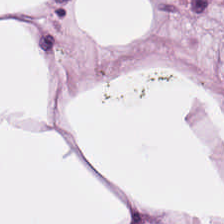H&E-stained tissue section · 20× equivalent magnification · 224×224 px tile.
This field is fat tissue.
